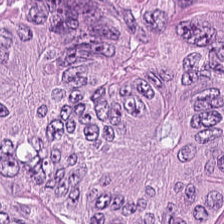0.5 µm per pixel. Hematoxylin and eosin. 224×224 px tile — Classification: malignant epithelium.
